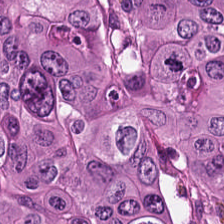Hematoxylin-and-eosin stained section. Tissue — colorectal adenocarcinoma epithelium.
